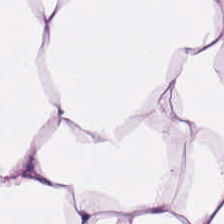H&E-stained tissue section.
Histology → fat tissue.
